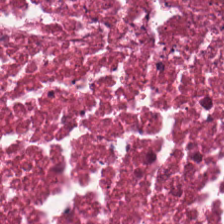20× equivalent magnification · hematoxylin-and-eosin stained section — Classification = debris.
